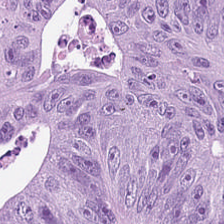Q: What tissue is shown?
A: It is tumor epithelium.
